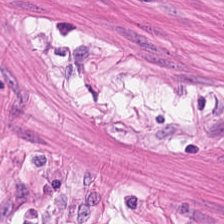H&E — Q: What does this patch show?
A: The field shows smooth-muscle tissue.
